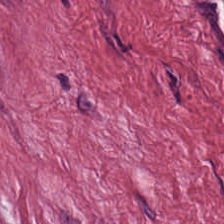Hematoxylin and eosin; brightfield microscopy. Histology — desmoplastic stroma.
